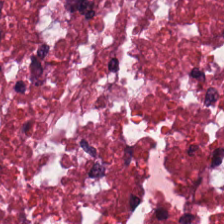Brightfield. H&E stain. 20× equivalent magnification. Tissue type: cellular debris.
